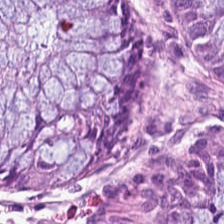224×224 px tile · hematoxylin-and-eosin stained section — The predominant tissue is normal colonic mucosa.
